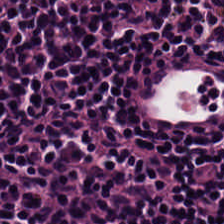Hematoxylin-and-eosin stained section. Histology → lymphoid infiltrate.
